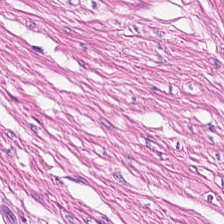0.5 µm per pixel; hematoxylin and eosin.
Tissue type — muscularis.
